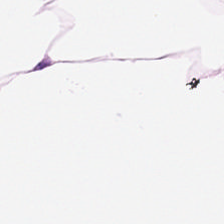H&E.
{"tissue_type": "adipose tissue"}
